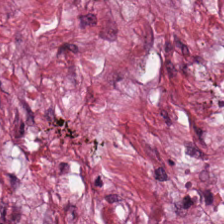This patch shows desmoplastic stroma.
